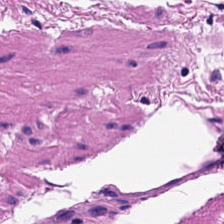Hematoxylin-and-eosin stained section · FFPE — Predominantly smooth-muscle tissue.
